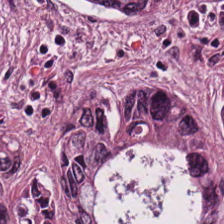Stain: H&E.
Preparation: FFPE tissue section.
Acquisition: WSI patch.
Classification: colorectal adenocarcinoma.
